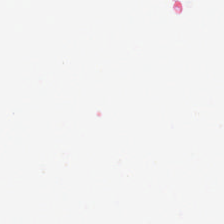Hematoxylin-and-eosin stained section. This field is background (no tissue).
